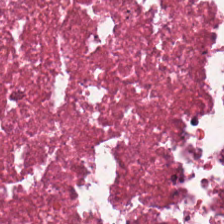H&E-stained tissue section — Tissue class: debris.
